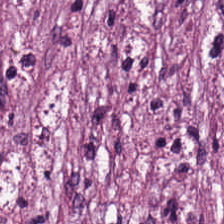H&E-stained tissue section — Tumor-associated stroma.
